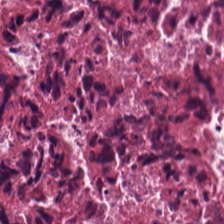Brightfield microscopy. Hematoxylin and eosin. 20× equivalent magnification — Impression — necrotic debris.
